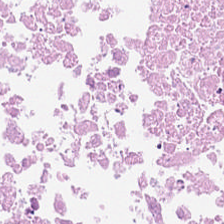H&E · WSI patch — This patch shows cellular debris.
